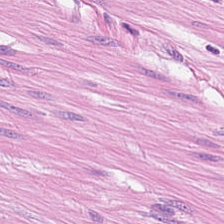Hematoxylin-and-eosin stained section — Predominantly smooth muscle.
